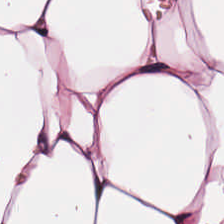H&E-stained tissue section. Adipose tissue.
